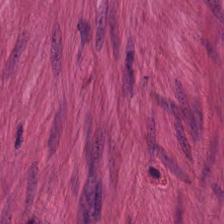Hematoxylin-and-eosin stained section — Q: Identify the tissue.
A: The field shows muscularis.
